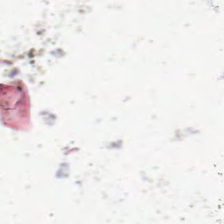Stain: hematoxylin-and-eosin stained section.
Acquisition: brightfield microscopy.
Tile size: 224×224 pixel tile.
Content: no tissue.
